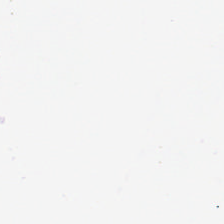Q: What is shown in this field?
A: This is background (no tissue).
